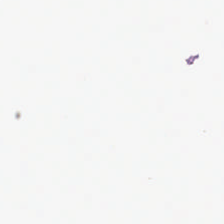H&E-stained tissue section. 224×224 px patch — This patch shows empty background.
